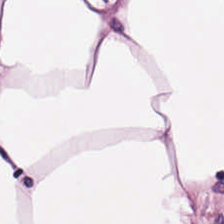224×224 px tile · FFPE · hematoxylin and eosin — This field is fat tissue.
